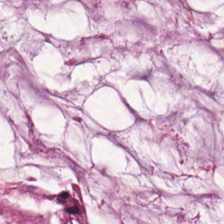H&E. 0.5 µm per pixel. FFPE.
Mucus.
